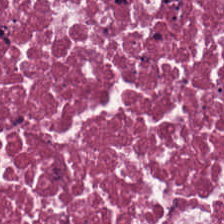H&E.
Predominantly debris.
